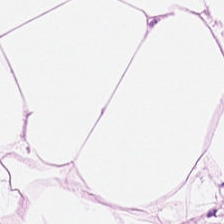0.5 µm/px; H&E — Tissue type — adipocytes.
